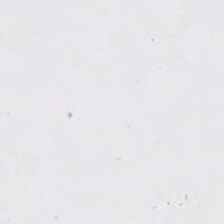Classification = background.
